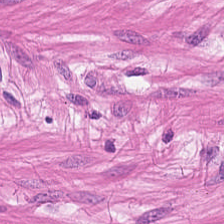FFPE. Hematoxylin-and-eosin stained section. Showing smooth-muscle tissue.
